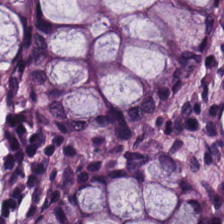Hematoxylin and eosin. 224×224 pixel tile. WSI patch. The predominant tissue is non-neoplastic colon mucosa.
